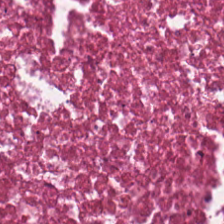Stain: H&E.
Resolution: 0.5 µm per pixel.
Tissue class: necrotic debris.
